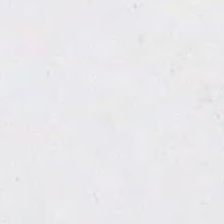Stain: H&E-stained tissue section.
Content: background (no tissue).
